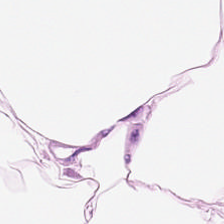H&E-stained tissue section.
{"tissue_type": "adipocytes"}
